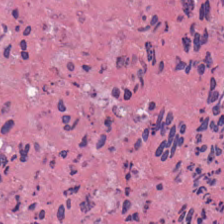H&E-stained tissue section showing cellular debris.
